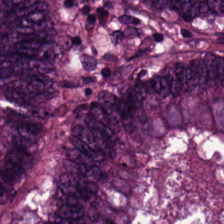H&E-stained tissue section — {"tissue_type": "colorectal adenocarcinoma epithelium"}
